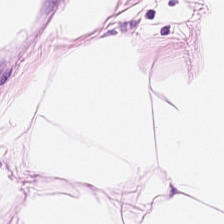Predominant tissue — adipocytes.
